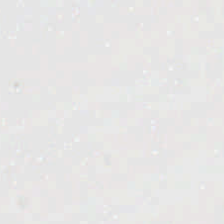224×224 pixel tile. Hematoxylin-and-eosin stained section.
Background.
